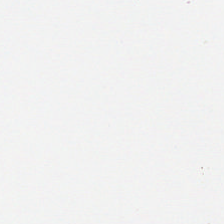H&E stain · 224×224 px tile.
No tissue.
